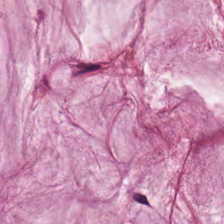Impression — mucus.
